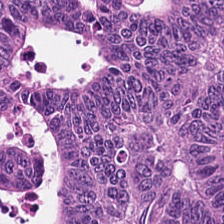H&E-stained tissue section; WSI patch. Q: What tissue type is shown here?
A: This is colorectal adenocarcinoma.
